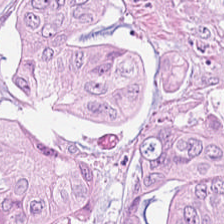H&E · formalin-fixed paraffin-embedded section.
Tissue class: tumor epithelium.
